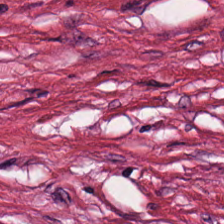Desmoplastic stroma.
